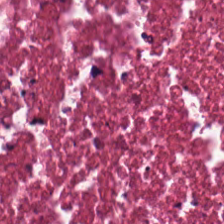0.5 microns per pixel; H&E-stained tissue section — Predominantly cellular debris.
